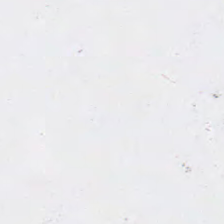H&E-stained tissue section · 0.5 microns per pixel. Content = background.
